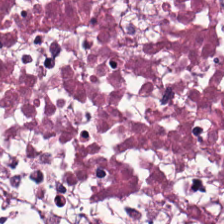H&E stain. 224×224 px patch. Brightfield.
Classification = debris.
